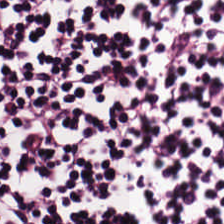Hematoxylin-and-eosin stained section. {"tissue_type": "lymphoid infiltrate"}
